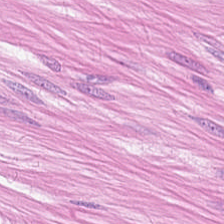0.5 µm/px; H&E stain; FFPE — Q: What does this patch show?
A: This is muscularis.
